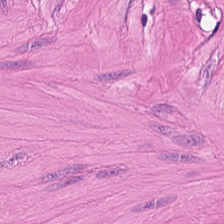Whole-slide-image patch; hematoxylin and eosin; formalin-fixed paraffin-embedded section. {"tissue_type": "muscularis"}
